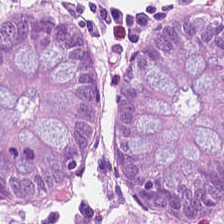Q: What tissue type is shown here?
A: This is benign colonic mucosa.
